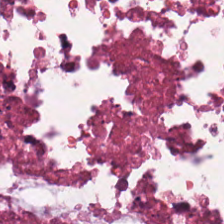Hematoxylin-and-eosin stained section · 0.5 µm per pixel — The tissue type is debris.
